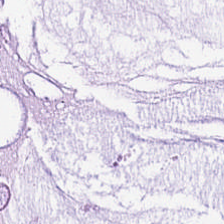This field is mucin.
